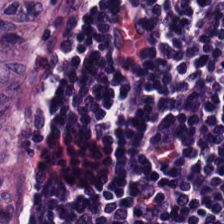Hematoxylin-and-eosin section: lymphocyte aggregate.
